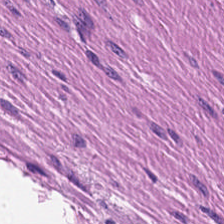H&E. Predominantly muscularis.
